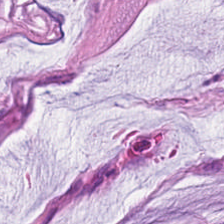H&E-stained tissue section — This field is mucus.
